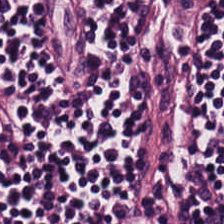Stain: hematoxylin-and-eosin stained section.
Tissue type: lymphocytic infiltrate.
